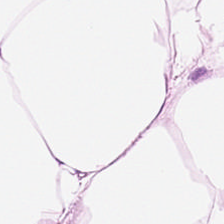H&E · FFPE. Classification = adipocytes.
